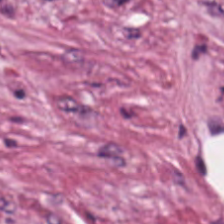FFPE tissue section · H&E.
{"tissue_type": "tumor-associated stroma"}
